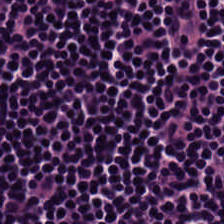Hematoxylin-and-eosin stained section.
This field is lymphocyte aggregate.
